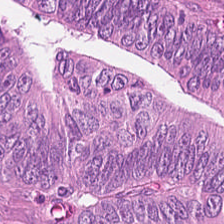Brightfield. Hematoxylin-and-eosin stained section. Finding → malignant epithelium.
